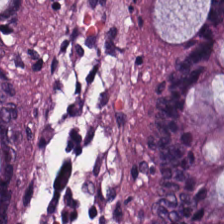224×224 pixel tile · H&E stain — Q: What is shown in this field?
A: This is non-neoplastic colon mucosa.
